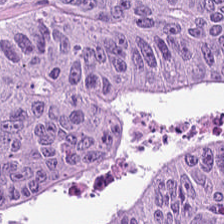Hematoxylin and eosin · 20× equivalent magnification · 224×224 px tile. Adenocarcinoma.
